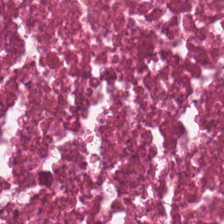224×224 pixel tile · hematoxylin-and-eosin stained section — Classification — necrotic debris.
